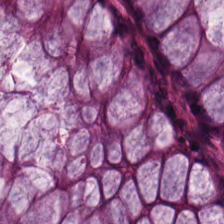WSI patch; hematoxylin-and-eosin stained section.
Histology → benign colonic mucosa.
